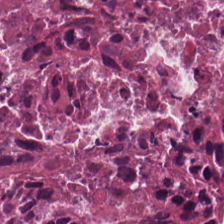Tissue type: necrotic debris.
